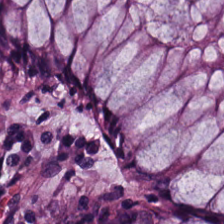Hematoxylin and eosin.
Q: What type of tissue is this?
A: It is non-neoplastic colon mucosa.
